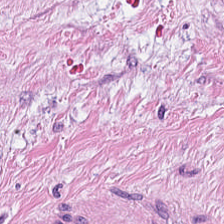Tissue = desmoplastic stroma.
